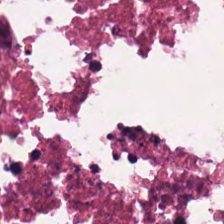Predominant tissue: cellular debris.
